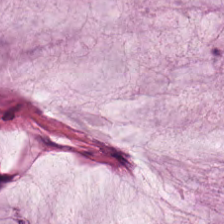The tissue here is extracellular mucin.
